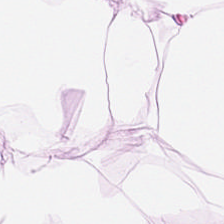Stain: H&E.
Tissue class: adipose tissue.
